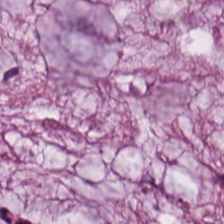Hematoxylin-and-eosin stained section.
Predominantly mucin.
